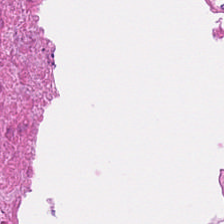Hematoxylin-and-eosin section: cellular debris.
